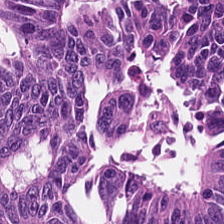Brightfield · hematoxylin-and-eosin stained section — Predominantly colorectal adenocarcinoma epithelium.
